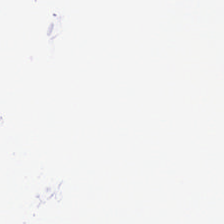Hematoxylin and eosin.
Classification = empty background.
